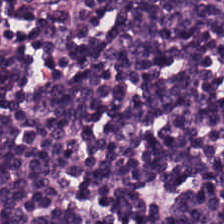H&E. 224×224 px patch. Tissue type = lymphocytic infiltrate.
